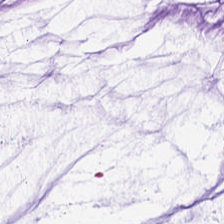H&E-stained tissue section.
Mucus.
